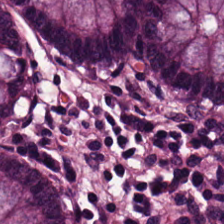224×224 px patch; H&E stain.
Finding → benign colonic mucosa.
